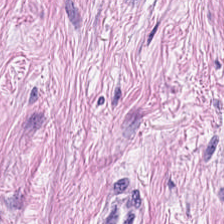H&E stain; 224×224 pixel tile — Cancer-associated stroma.
